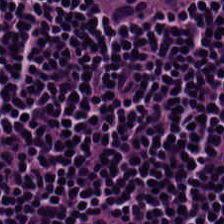Stain: H&E stain.
Preparation: FFPE tissue section.
Predominant tissue: lymphocytes.
